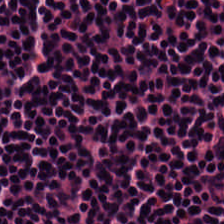WSI patch · H&E-stained tissue section — Predominantly lymphocytes.
